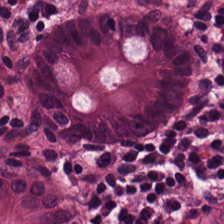Hematoxylin-and-eosin stained section. 20× equivalent magnification. 224×224 px patch.
Finding → non-neoplastic colon mucosa.
